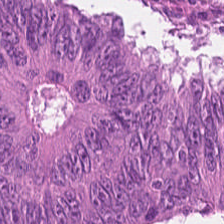0.5 µm/px · 224×224 px patch · H&E stain. This patch shows malignant epithelium.
